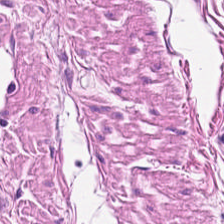Hematoxylin-and-eosin section: smooth muscle.
